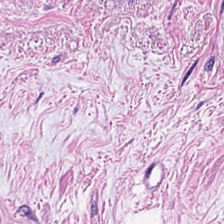Stain: H&E-stained tissue section.
Preparation: formalin-fixed paraffin-embedded section.
Predominant tissue: smooth muscle.
